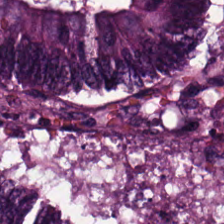H&E patch showing adenocarcinoma.
